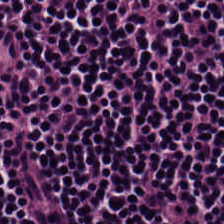Hematoxylin-and-eosin stained section. Lymphoid infiltrate.
